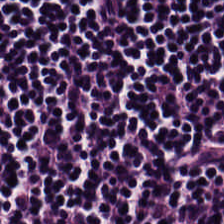H&E-stained tissue section. Formalin-fixed paraffin-embedded section. 224×224 pixel tile.
Tissue type = lymphocytes.
